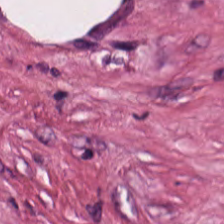Stain: H&E stain.
Tissue: tumor-associated stroma.
